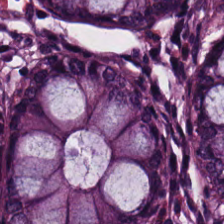H&E-stained tissue section; 0.5 µm/px. This field is normal colon mucosa.
